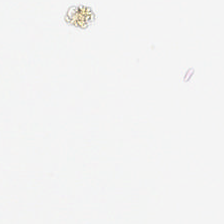H&E-stained tissue section · 0.5 microns per pixel. This patch shows background (no tissue).
